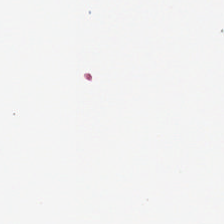This field is background (no tissue).
